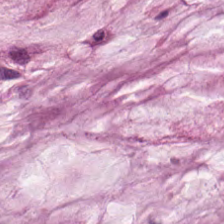Hematoxylin-and-eosin stained section.
Impression → mucus.
